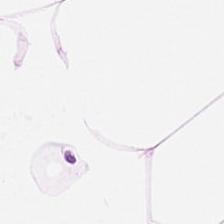H&E stain.
Tissue type: adipose tissue.
